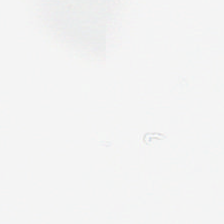H&E — Q: What does this patch show?
A: This is empty background.
